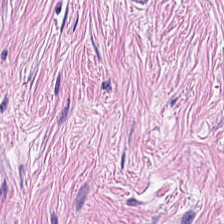Impression — tumor-associated stroma.
